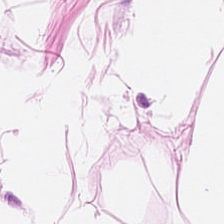H&E stain · 224×224 px tile — The predominant tissue is adipocytes.
